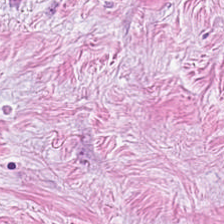FFPE. H&E — Finding → cancer-associated stroma.
